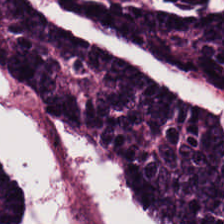H&E.
This patch shows adenocarcinoma.
